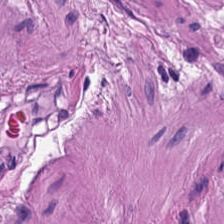224×224 px patch. Hematoxylin-and-eosin stained section. FFPE — {"tissue_type": "smooth-muscle tissue"}
